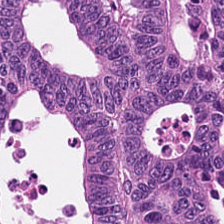The classification is colorectal adenocarcinoma epithelium.
